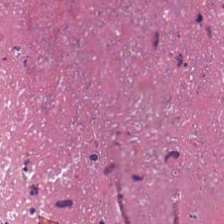Hematoxylin-and-eosin section: cellular debris.
